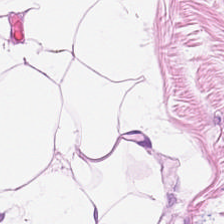Stain: hematoxylin and eosin.
Tissue class: adipocytes.
